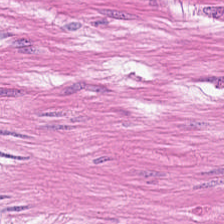Histology — smooth-muscle tissue.
